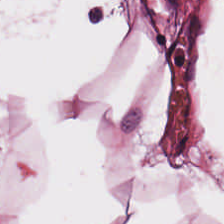FFPE tissue section · H&E stain · 224×224 px patch. Q: What is shown in this field?
A: This is adipose tissue.
